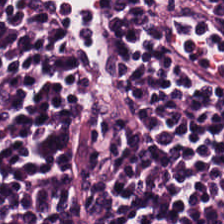0.5 µm/px · hematoxylin-and-eosin stained section. Tissue: lymphocyte aggregate.
